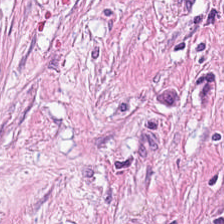0.5 microns per pixel · hematoxylin-and-eosin stained section. This field is desmoplastic stroma.
